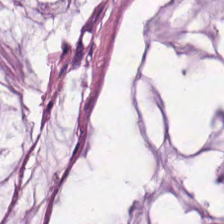Hematoxylin and eosin. {"tissue_type": "mucus"}
